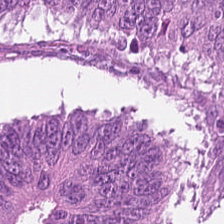Tissue type = adenocarcinoma.
